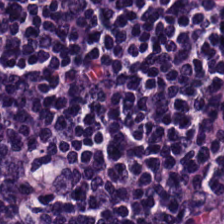H&E stain.
The predominant tissue is lymphocytes.
